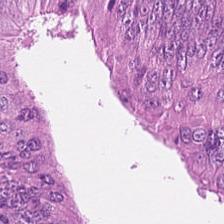Classification — malignant epithelium.
